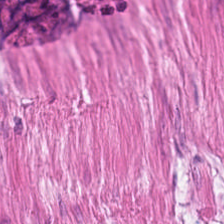FFPE. H&E stain. Brightfield microscopy.
This patch shows smooth-muscle tissue.
